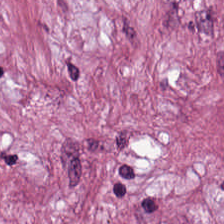20× equivalent magnification; whole-slide-image patch; H&E stain.
Q: What is the predominant tissue type?
A: Desmoplastic stroma.
